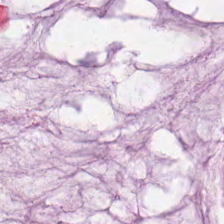H&E. 224×224 pixel tile. Formalin-fixed paraffin-embedded section.
Q: Classify this patch.
A: This is mucin.
